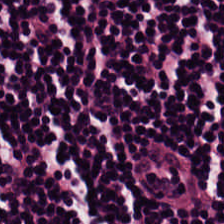H&E stain; 224×224 pixel tile. Showing lymphocytic infiltrate.
